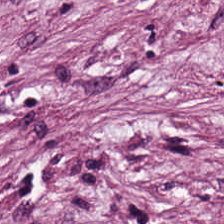H&E — Q: What is shown here?
A: The field shows desmoplastic stroma.
